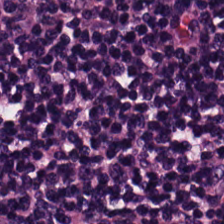224×224 px patch · brightfield microscopy · hematoxylin and eosin. Tissue type — lymphocyte aggregate.
